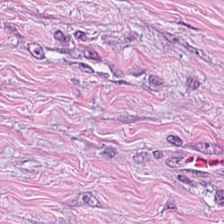Hematoxylin and eosin; WSI patch. The predominant tissue is tumor stroma.
